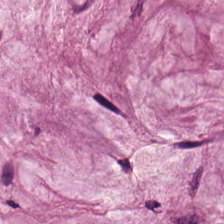Stain: hematoxylin and eosin.
Classification: mucus.
